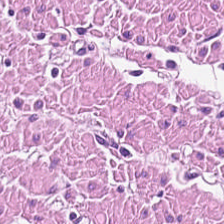H&E stain — This patch shows muscularis.
